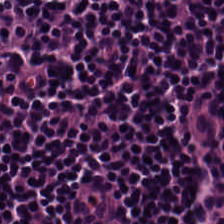Stain: hematoxylin and eosin.
Tile size: 224×224 px tile.
Classification: lymphocytic infiltrate.
